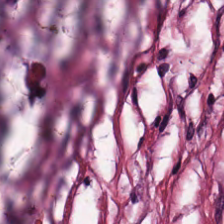H&E · 20× equivalent magnification. Q: What is shown here?
A: Tumor stroma.
